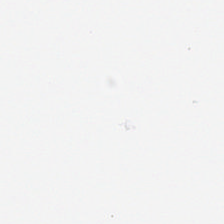Stain: H&E stain.
Classification: empty background.
